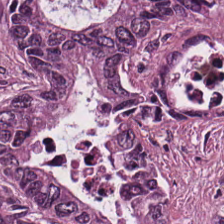Hematoxylin-and-eosin stained section.
The tissue here is malignant epithelium.
